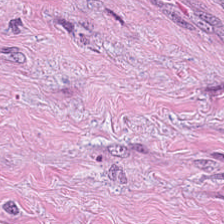H&E — This patch shows tumor-associated stroma.
